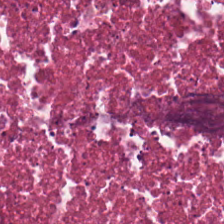H&E stain. Tissue type — cellular debris.
